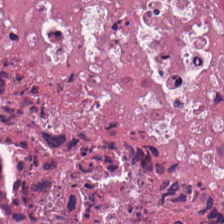0.5 microns per pixel · H&E.
Histology → cellular debris.
